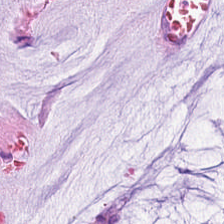H&E-stained tissue section — Q: What does this patch show?
A: It is mucus.
